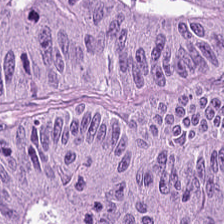The tissue here is adenocarcinoma.
